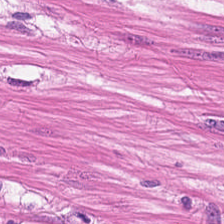H&E. Q: What is the predominant tissue type?
A: It is smooth-muscle tissue.
